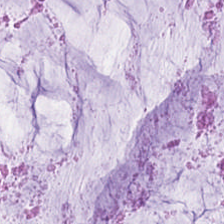Hematoxylin-and-eosin stained section. The predominant tissue is mucus.
